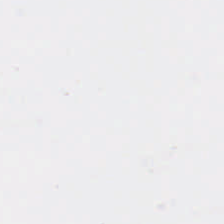20× equivalent magnification; H&E-stained tissue section. The field content is empty background.
